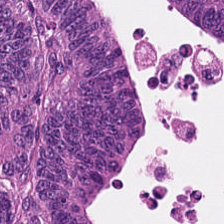Stain: H&E-stained tissue section.
Resolution: 0.5 µm per pixel.
Acquisition: whole-slide-image patch.
Classification: colorectal adenocarcinoma epithelium.
